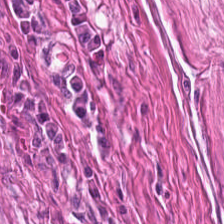Hematoxylin-and-eosin stained section.
Showing smooth muscle.
